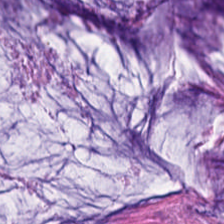Stain: H&E.
Predominant tissue: mucus.
